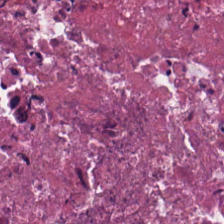H&E stain — Cellular debris.
